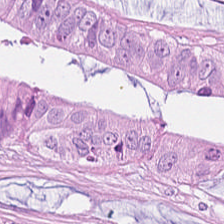20× equivalent magnification. Hematoxylin and eosin — {"tissue_type": "tumor epithelium"}
